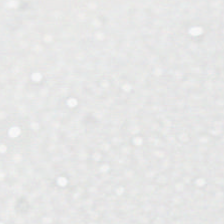H&E-stained tissue section — No tissue present; background only.
